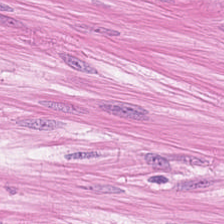0.5 µm/px; hematoxylin-and-eosin stained section; brightfield microscopy.
Tissue: muscularis.
